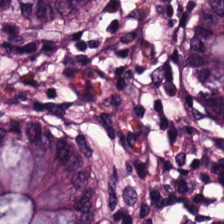The tissue type is normal colonic mucosa.
